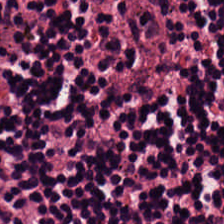H&E-stained tissue section — Impression — lymphocytes.
